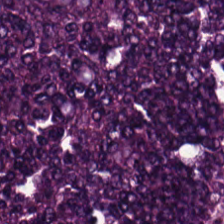Hematoxylin and eosin.
Classification: colorectal adenocarcinoma epithelium.
